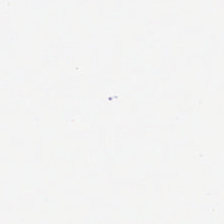H&E stain. Field content = empty background.
